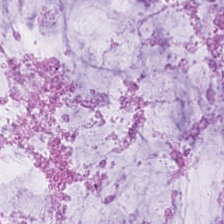0.5 µm per pixel; H&E stain. Classification — mucin.
